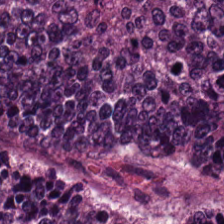224×224 px patch; H&E stain.
This patch shows tumor epithelium.
